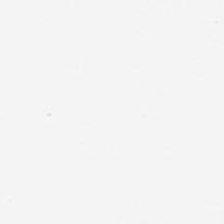Content: background.
